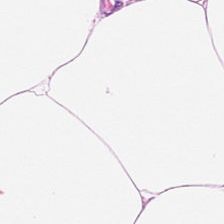H&E stain; FFPE tissue section; 0.5 µm per pixel. The predominant tissue is adipose.
